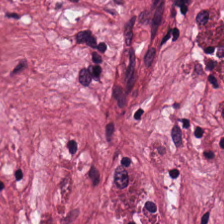Showing cancer-associated stroma.
